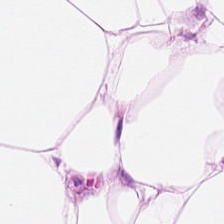H&E — adipocytes.
